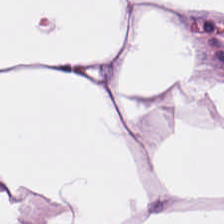H&E stain; 0.5 microns per pixel.
Q: Classify this patch.
A: The field shows fat tissue.
